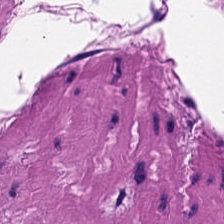H&E-stained tissue section — Impression — muscularis.
